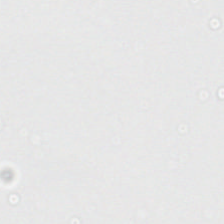Q: What is shown here?
A: The field shows no tissue.
